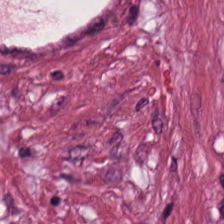Hematoxylin-and-eosin section: tumor-associated stroma.
